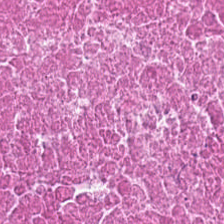H&E stain — Necrotic debris.
